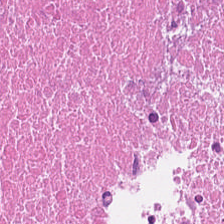0.5 µm per pixel · H&E stain.
Impression → cellular debris.
